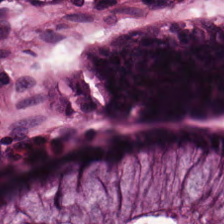H&E · 0.5 microns per pixel · FFPE tissue section — The predominant tissue is normal colonic mucosa.
